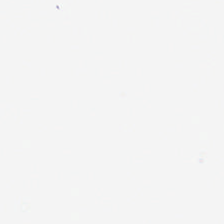Stain: H&E.
Classification: background (no tissue).
